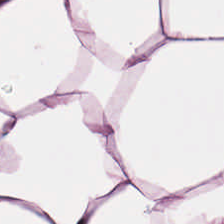Stain: hematoxylin and eosin.
Classification: adipose tissue.
